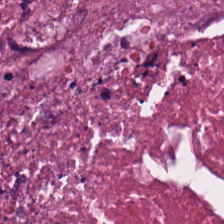Stain: H&E.
Tissue class: necrotic debris.
